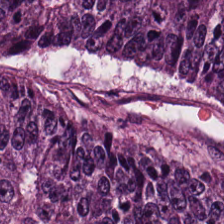H&E-stained tissue section — Colorectal adenocarcinoma epithelium.
